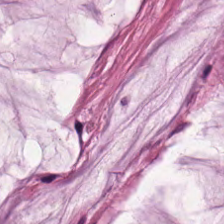Hematoxylin-and-eosin stained section. Predominantly extracellular mucin.
